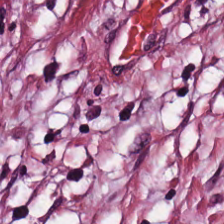H&E. Showing desmoplastic stroma.
